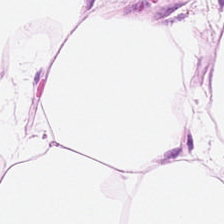224×224 px tile · hematoxylin-and-eosin stained section.
Predominantly adipocytes.
